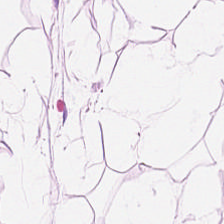H&E-stained tissue section.
This field is adipose tissue.
